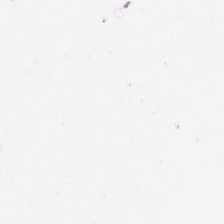Background — no tissue in this field.
